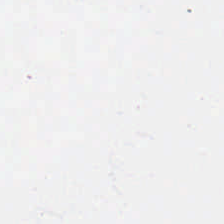0.5 microns per pixel; hematoxylin-and-eosin stained section.
The content is empty background.
